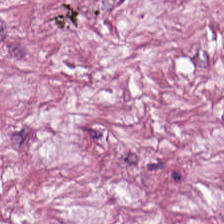H&E stain; 224×224 pixel tile — Tissue = desmoplastic stroma.
